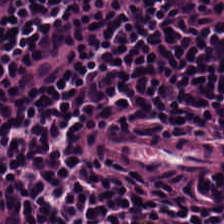Q: What does this patch show?
A: Lymphocytes.
